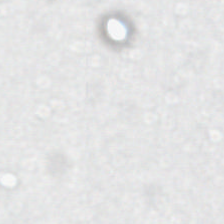H&E-stained tissue section — This field is background (no tissue).
